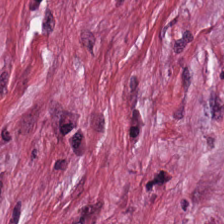FFPE · H&E.
Q: What is shown here?
A: Desmoplastic stroma.
